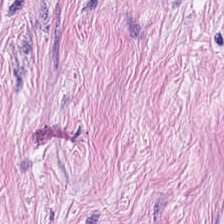0.5 µm per pixel. Hematoxylin-and-eosin stained section. Classification: cancer-associated stroma.
